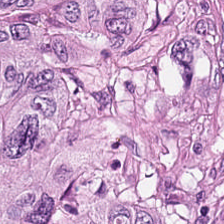H&E.
The predominant tissue is adenocarcinoma.
